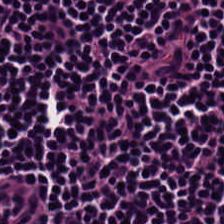H&E — Showing lymphocyte aggregate.
